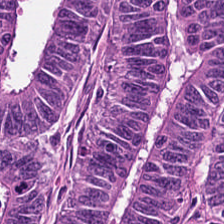H&E stain — Tissue class = tumor epithelium.
